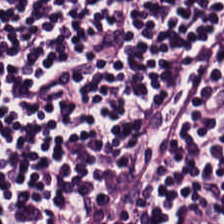224×224 px tile. 0.5 µm per pixel. Hematoxylin-and-eosin stained section — This field is lymphocytes.
